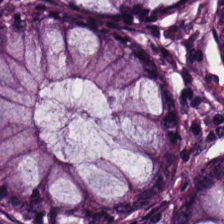H&E patch showing normal colonic mucosa.
